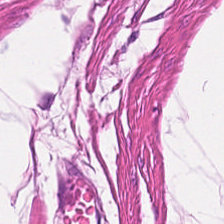Stain: H&E stain.
Tile size: 224×224 px patch.
Resolution: 20× equivalent magnification.
Classification: smooth-muscle tissue.
